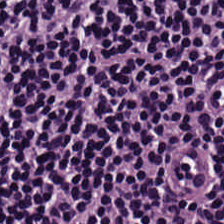Stain: H&E stain.
Predominant tissue: lymphoid infiltrate.
